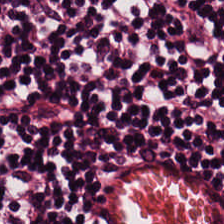FFPE · H&E-stained tissue section. Histology — lymphoid infiltrate.
